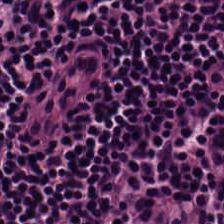Histology — lymphocytic infiltrate.
